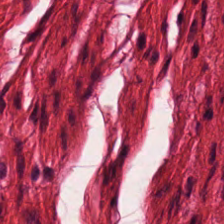H&E-stained tissue section — Finding → smooth muscle.
